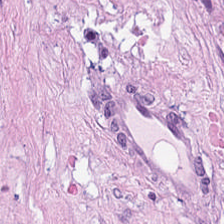H&E-stained tissue section. Desmoplastic stroma.
